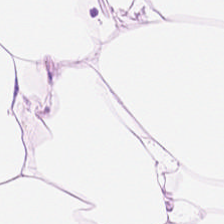{"tissue_type": "fat tissue"}
